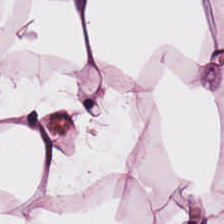Classification: adipose tissue.
